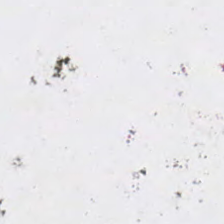H&E stain.
Empty field — background.
